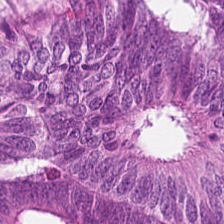Whole-slide-image patch; H&E; 20× equivalent magnification. The tissue is tumor epithelium.
